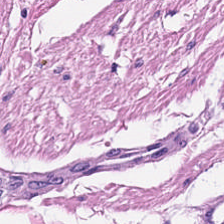Hematoxylin-and-eosin stained section.
This patch shows smooth-muscle tissue.
